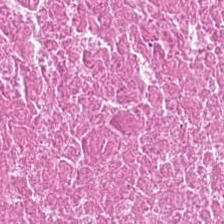Stain: H&E.
Tissue class: necrotic debris.
